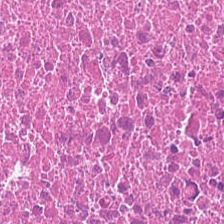H&E stain.
The tissue type is debris.
